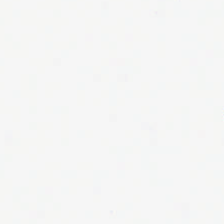H&E — Impression → empty background.
